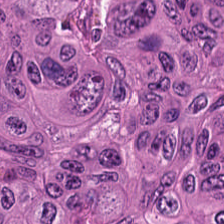H&E-stained tissue section. Tissue type: tumor epithelium.
